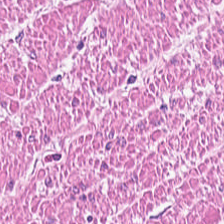H&E stain — Tissue class: muscularis.
